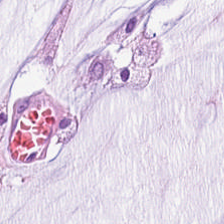The predominant tissue is mucin.
